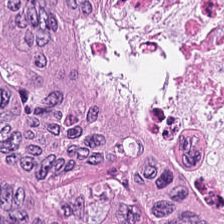FFPE. H&E-stained tissue section.
Showing colorectal adenocarcinoma epithelium.
